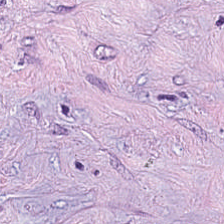224×224 px patch. H&E stain.
This field is desmoplastic stroma.
